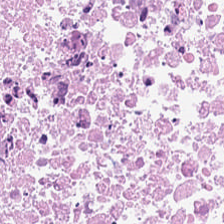H&E stain. Q: Classify this patch.
A: It is necrotic debris.
